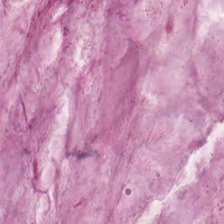Hematoxylin-and-eosin stained section.
Mucus.
